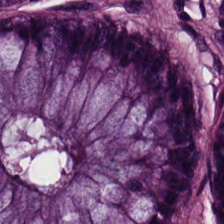224×224 px tile; H&E stain — Impression → normal colonic mucosa.
